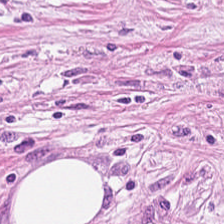Brightfield. H&E-stained tissue section. Predominantly tumor-associated stroma.
